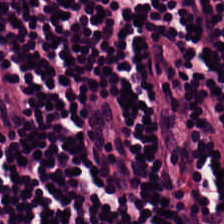H&E — This patch shows lymphoid infiltrate.
